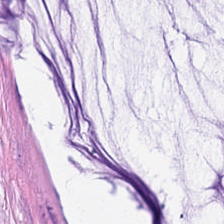H&E — Impression → mucin.
